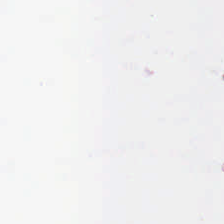Stain: hematoxylin-and-eosin stained section.
Field content: empty background.
